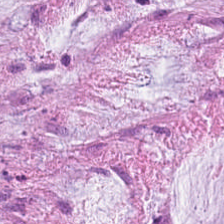H&E — The predominant tissue is mucus.
